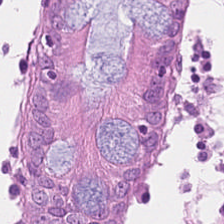FFPE. Hematoxylin-and-eosin stained section. {"tissue_type": "normal colon mucosa"}
